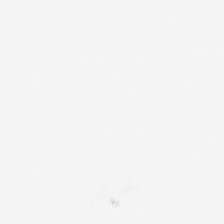Stain: hematoxylin and eosin.
Acquisition: brightfield microscopy.
Field content: background.
